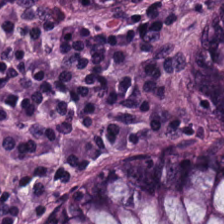This field is normal colonic mucosa.
